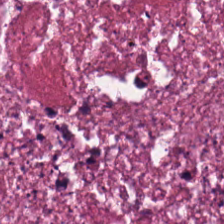Hematoxylin-and-eosin stained section.
This patch shows necrotic debris.
